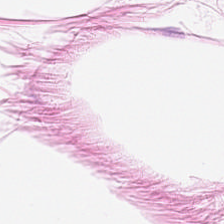The classification is fat tissue.
